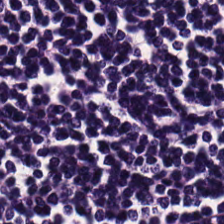Hematoxylin and eosin. Brightfield — {"tissue_type": "lymphocyte aggregate"}
